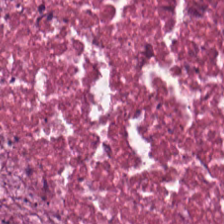FFPE tissue section; hematoxylin-and-eosin stained section.
Impression — debris.
